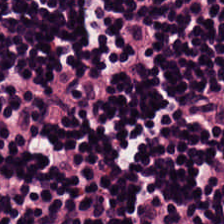Hematoxylin and eosin; FFPE. Impression — lymphocyte aggregate.
